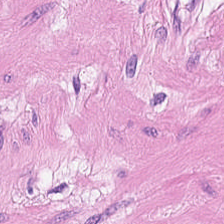Hematoxylin and eosin.
Impression — muscularis.
